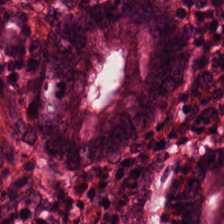Tissue = normal colonic mucosa.
